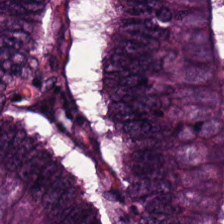Colorectal adenocarcinoma epithelium.
